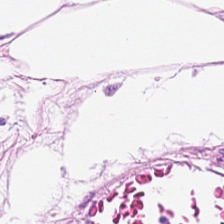Finding → adipose.
